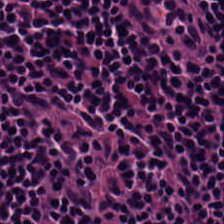Histology — lymphocytic infiltrate.
